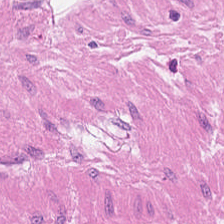H&E-stained tissue section — Predominant tissue — smooth muscle.
